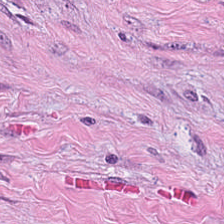H&E-stained tissue section showing cancer-associated stroma.
